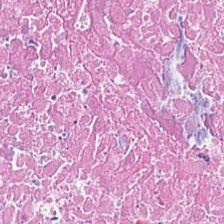Hematoxylin-and-eosin stained section.
Tissue class = debris.
